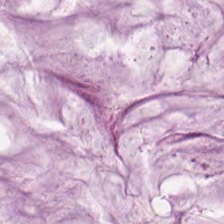Q: Classify this patch.
A: Extracellular mucin.
